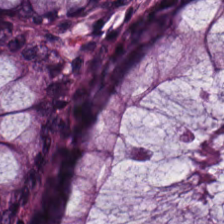Hematoxylin and eosin.
Q: What does this patch show?
A: Non-neoplastic colon mucosa.
